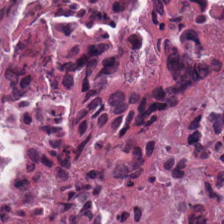Hematoxylin and eosin.
Predominantly debris.
